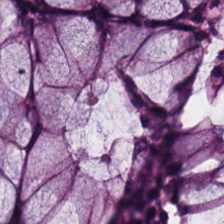H&E patch showing normal colon mucosa.
